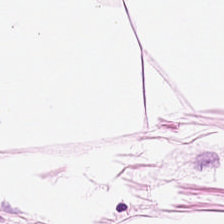H&E; 224×224 px patch. The tissue class is adipocytes.
